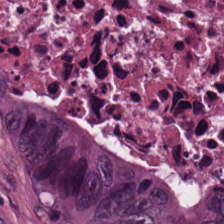The tissue here is debris.
